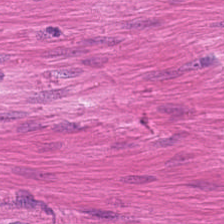H&E-stained tissue section · FFPE — The tissue is smooth muscle.
